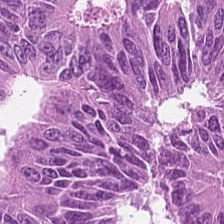Stain: hematoxylin and eosin.
Resolution: 0.5 µm/px.
Tile size: 224×224 px patch.
Predominant tissue: tumor epithelium.
